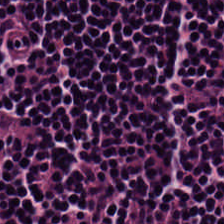H&E. Predominant tissue = lymphoid infiltrate.
